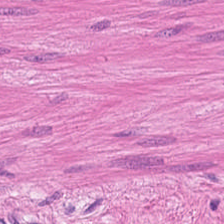H&E-stained tissue section — Predominant tissue = muscularis.
